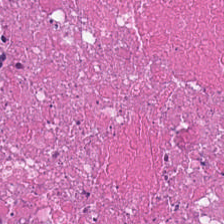H&E stain · 0.5 microns per pixel. Finding — debris.
